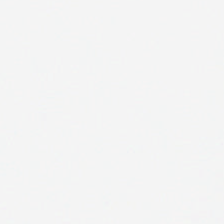H&E. No tissue present; background only.
